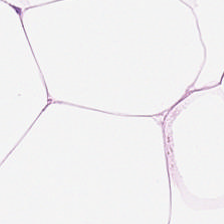Hematoxylin and eosin — Q: What is the predominant tissue type?
A: Adipocytes.
